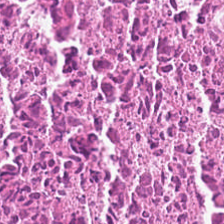FFPE · H&E · 20× equivalent magnification — The tissue here is debris.
